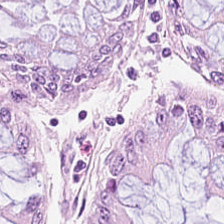Predominant tissue — non-neoplastic colon mucosa.
